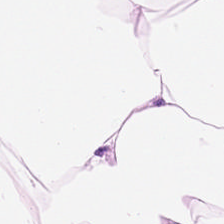224×224 px patch. H&E-stained tissue section. Formalin-fixed paraffin-embedded section.
Showing adipose tissue.
